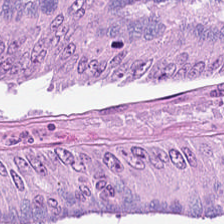H&E-stained tissue section showing colorectal adenocarcinoma.
